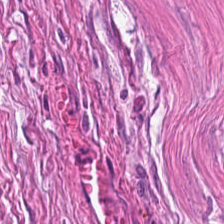Formalin-fixed paraffin-embedded section · H&E · 0.5 µm per pixel — The predominant tissue is smooth muscle.
